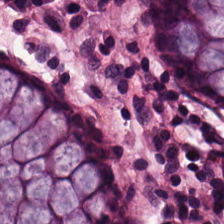H&E-stained tissue section. The predominant tissue is non-neoplastic colon mucosa.
